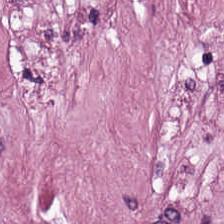H&E stain. Predominantly cancer-associated stroma.
